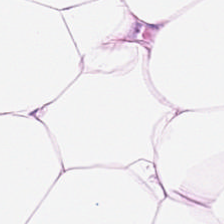H&E-stained tissue section. Adipose.
